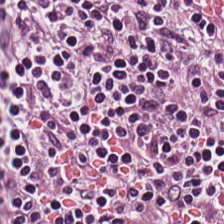H&E — Tissue class: lymphocytic infiltrate.
